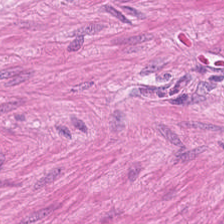H&E. FFPE.
Tissue type = muscularis.
